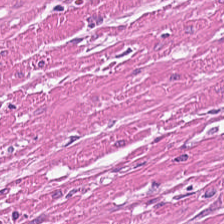H&E stain. Predominantly smooth muscle.
